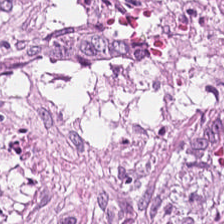Hematoxylin-and-eosin section: tumor stroma.
